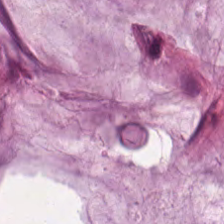Stain: hematoxylin-and-eosin stained section.
Predominant tissue: mucus.
